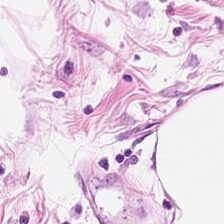Q: What type of tissue is this?
A: Adipocytes.
